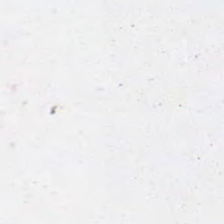The field content is background.
